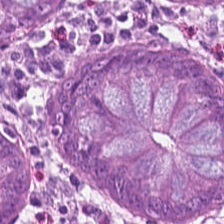H&E-stained tissue section — Normal colon mucosa.
